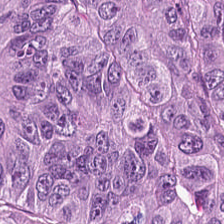Tissue type — colorectal adenocarcinoma epithelium.
